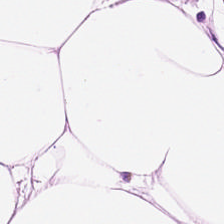Finding — fat tissue.
